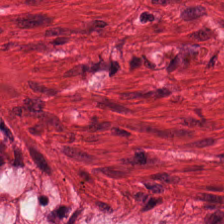H&E stain. The predominant tissue is smooth muscle.
